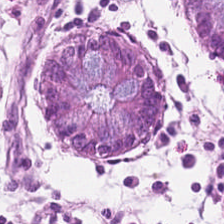0.5 µm/px; 224×224 px patch; hematoxylin-and-eosin stained section.
This field is non-neoplastic colon mucosa.
